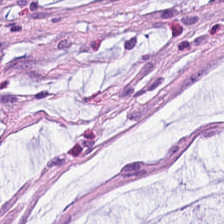Whole-slide-image patch. H&E stain.
Tissue class — mucin.
